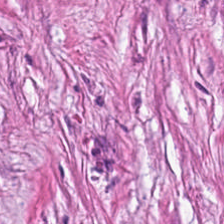224×224 px tile; 0.5 microns per pixel; hematoxylin and eosin. This field is cancer-associated stroma.
